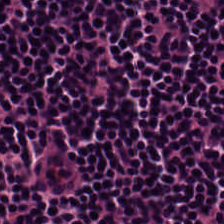Hematoxylin-and-eosin stained section. Tissue class: lymphocytes.
